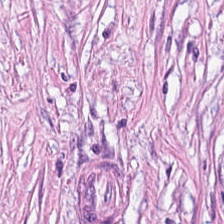Stain: H&E.
Tissue: tumor-associated stroma.
